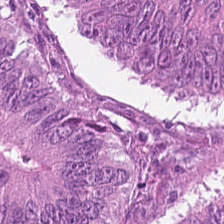Hematoxylin-and-eosin stained section. The tissue here is colorectal adenocarcinoma.
